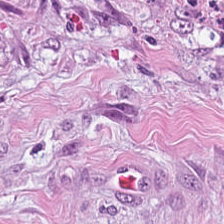Stain: H&E-stained tissue section.
Classification: desmoplastic stroma.
